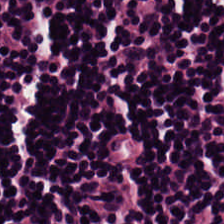Histology → lymphocytes.
